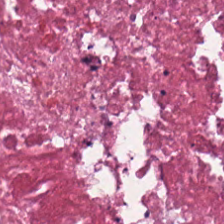Q: What type of tissue is this?
A: This is cellular debris.
